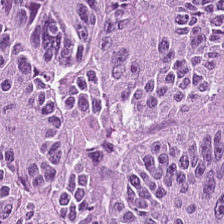H&E-stained tissue section.
This field is adenocarcinoma.
